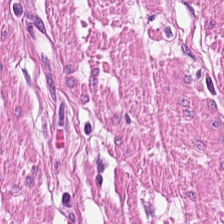H&E-stained tissue section. FFPE. Smooth muscle.
